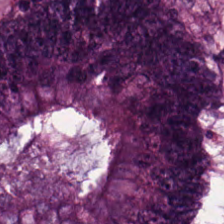H&E-stained tissue section. FFPE. 0.5 µm per pixel.
Finding → colorectal adenocarcinoma.
